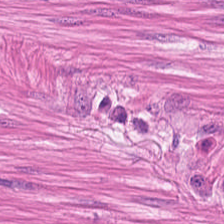H&E stain. Histology — smooth-muscle tissue.
